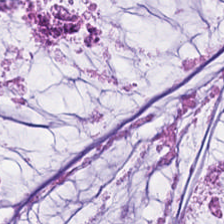Stain: H&E.
Classification: extracellular mucin.
